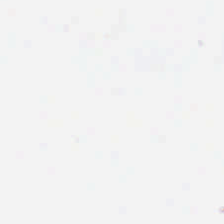224×224 pixel tile · H&E stain — Histology — empty background.
